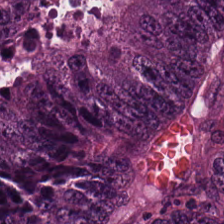H&E.
Classification — adenocarcinoma.
